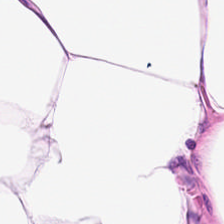0.5 µm/px; hematoxylin and eosin — Adipose tissue.
